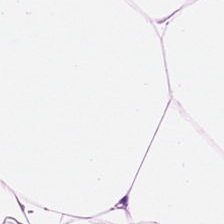Brightfield microscopy; H&E. This patch shows adipose tissue.
